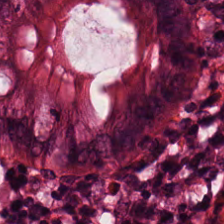H&E-stained tissue section. Showing normal colon mucosa.
